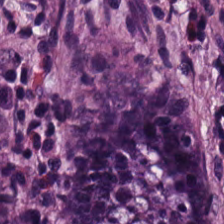224×224 px tile; hematoxylin-and-eosin stained section. Q: Classify this patch.
A: Normal colon mucosa.
